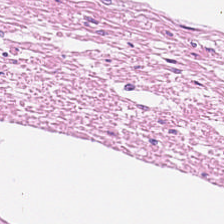H&E stain · 0.5 µm/px — Classification — muscularis.
